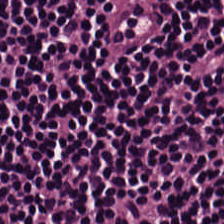H&E stain · FFPE tissue section. Predominant tissue — lymphocyte aggregate.
